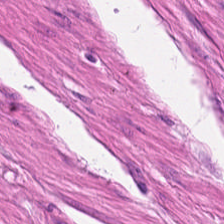H&E. FFPE tissue section. 224×224 px tile — The tissue type is smooth muscle.
